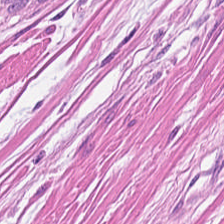H&E patch showing smooth muscle.
